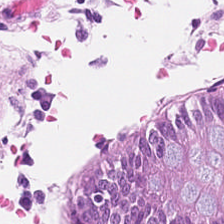H&E-stained section; the field shows normal colonic mucosa.
